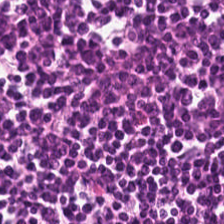Q: What type of tissue is this?
A: This is lymphoid infiltrate.
